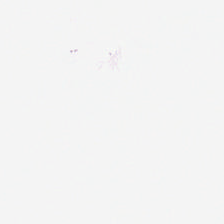Hematoxylin and eosin — Field content: no tissue.
